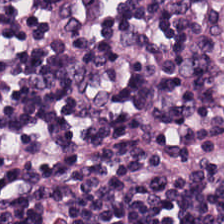H&E-stained tissue section. Showing lymphocytes.
